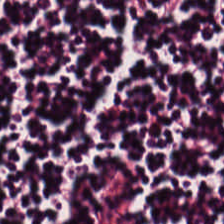Hematoxylin and eosin · 0.5 µm/px · brightfield. The predominant tissue is lymphocytes.
